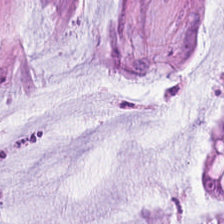Hematoxylin and eosin — Mucus.
